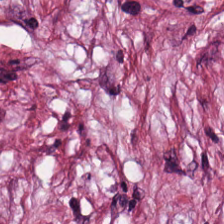Whole-slide-image patch. Hematoxylin-and-eosin stained section — The predominant tissue is cancer-associated stroma.
